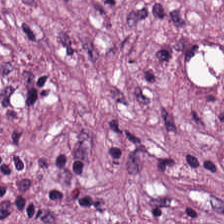Hematoxylin and eosin.
Showing cancer-associated stroma.
